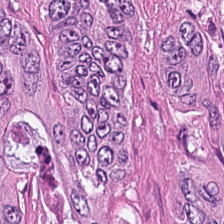Histology — colorectal adenocarcinoma.
